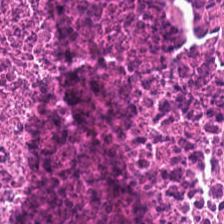Hematoxylin-and-eosin stained section — This patch shows debris.
